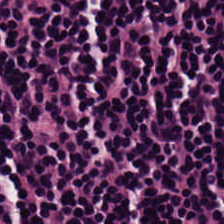H&E-stained tissue section — The predominant tissue is lymphocytic infiltrate.
